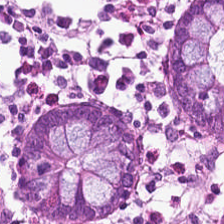Hematoxylin-and-eosin stained section — Finding → normal colon mucosa.
